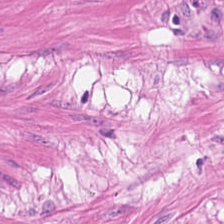Hematoxylin and eosin. This field is smooth muscle.
